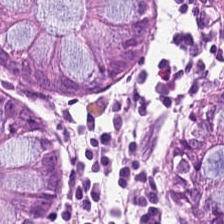Hematoxylin-and-eosin stained section. Q: Classify this patch.
A: This is normal colon mucosa.
